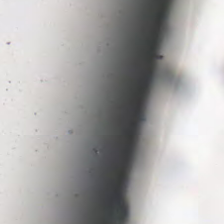H&E-stained tissue section; 20× equivalent magnification; 224×224 px patch — Classification: no tissue.
